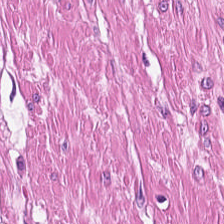FFPE; hematoxylin and eosin; 0.5 microns per pixel.
The tissue here is smooth muscle.
